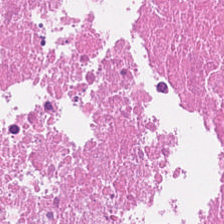H&E-stained tissue section; FFPE — Tissue class — necrotic debris.
